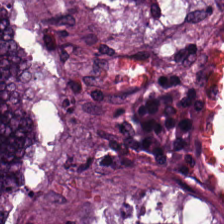H&E-stained tissue section. The predominant tissue is malignant epithelium.
